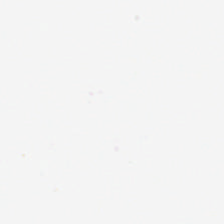This patch shows no tissue.
